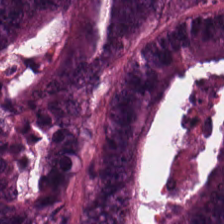Malignant epithelium.
